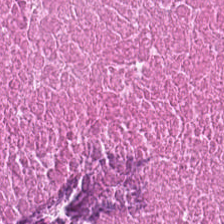Whole-slide-image patch. Hematoxylin-and-eosin stained section. 224×224 pixel tile. The tissue here is debris.
